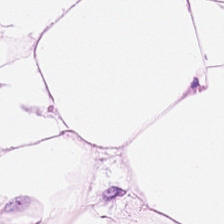Hematoxylin-and-eosin stained section — The tissue type is adipocytes.
